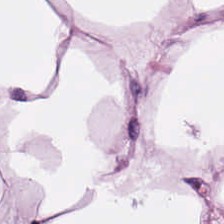Hematoxylin and eosin — The tissue here is adipocytes.
